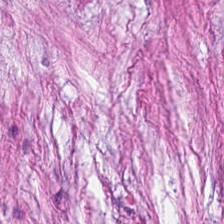224×224 pixel tile; H&E-stained tissue section; brightfield microscopy.
Predominant tissue: desmoplastic stroma.
